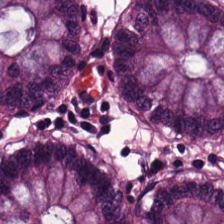224×224 px patch. H&E stain. Normal colon mucosa.
